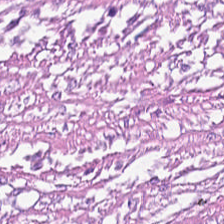Finding — tumor stroma.
